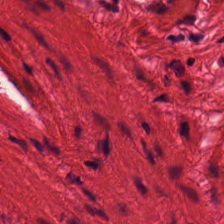0.5 µm per pixel. H&E-stained tissue section.
Predominant tissue: smooth-muscle tissue.
